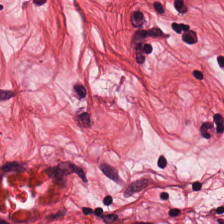20× equivalent magnification. Hematoxylin-and-eosin stained section. WSI patch. Q: Identify the tissue.
A: It is smooth muscle.
